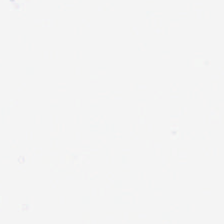Hematoxylin-and-eosin stained section. 0.5 µm/px. 224×224 pixel tile. This patch shows background.
